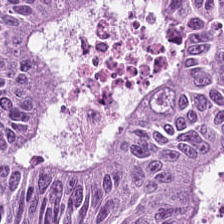0.5 µm per pixel · H&E stain · formalin-fixed paraffin-embedded section. Predominantly tumor epithelium.
